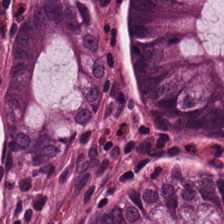Hematoxylin-and-eosin stained section · FFPE tissue section. Q: What is shown here?
A: It is benign colonic mucosa.
